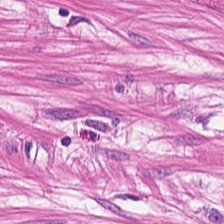H&E patch showing smooth-muscle tissue.
